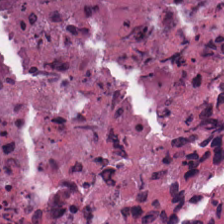H&E-stained tissue section — The predominant tissue is debris.
